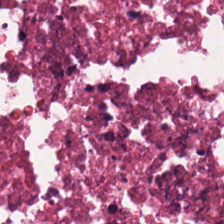FFPE tissue section · 0.5 µm/px · H&E-stained tissue section — Histology — necrotic debris.
